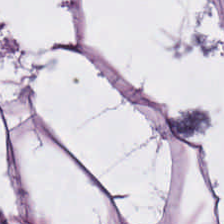Hematoxylin-and-eosin stained section. Tissue: adipose tissue.
